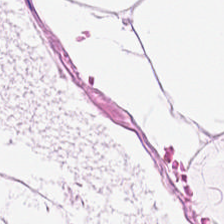0.5 µm per pixel; hematoxylin and eosin.
This patch shows fat tissue.
